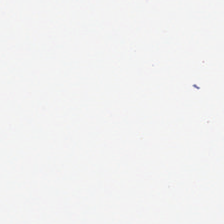Hematoxylin-and-eosin stained section — This field is background (no tissue).
